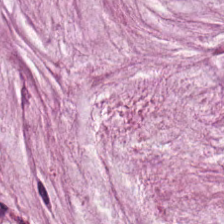Brightfield · H&E · 224×224 px tile — The predominant tissue is mucin.
